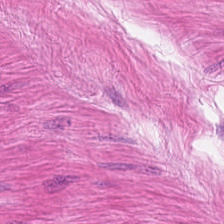Hematoxylin-and-eosin stained section.
Smooth-muscle tissue.
